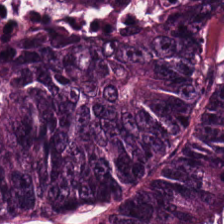The tissue here is malignant epithelium.
